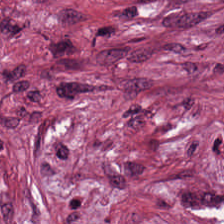Hematoxylin and eosin. Q: What tissue type is shown here?
A: Desmoplastic stroma.
